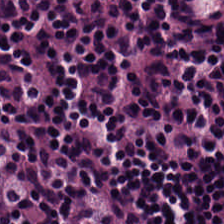Hematoxylin and eosin.
Tissue = lymphoid infiltrate.
